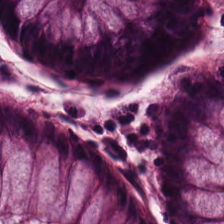Tissue type — normal colonic mucosa.
